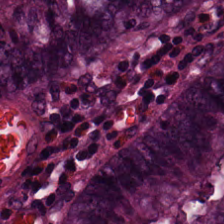Stain: hematoxylin-and-eosin stained section.
Tissue: normal colon mucosa.
